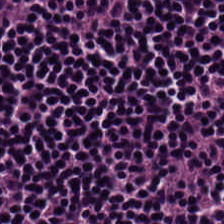224×224 px patch. H&E-stained tissue section.
Q: Classify this patch.
A: This is lymphoid infiltrate.
